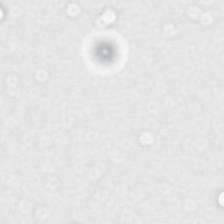No tissue.
